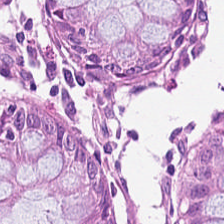WSI patch. Hematoxylin-and-eosin stained section. 224×224 pixel tile. Showing normal colon mucosa.
